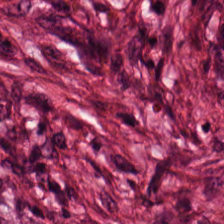H&E-stained tissue section — Finding — desmoplastic stroma.
